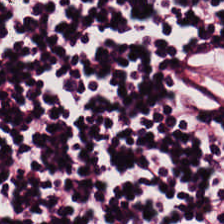Hematoxylin-and-eosin stained section — This field is lymphocytes.
